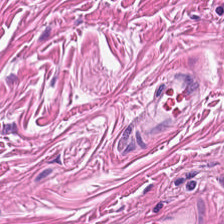Smooth-muscle tissue.
